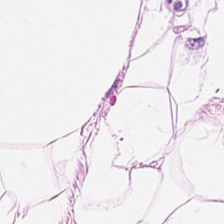H&E. 224×224 px patch. Q: What does this patch show?
A: This is adipose tissue.
